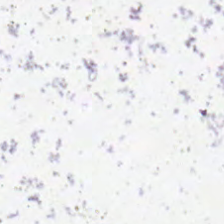Background — no tissue in this field.
